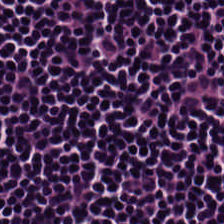Q: Identify the tissue.
A: Lymphocytic infiltrate.
